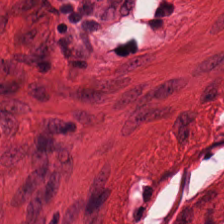H&E-stained tissue section; formalin-fixed paraffin-embedded section.
Classification: smooth-muscle tissue.
